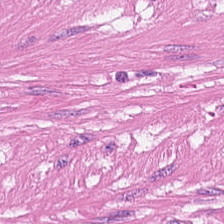224×224 px patch · H&E-stained tissue section · whole-slide-image patch.
Q: What is the predominant tissue type?
A: It is muscularis.
